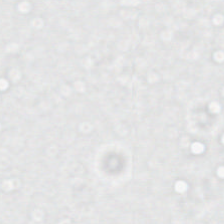H&E.
Empty field — background.
